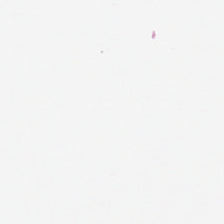Hematoxylin-and-eosin stained section — No tissue present; background only.
